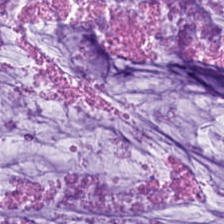Stain: hematoxylin and eosin.
Predominant tissue: mucus.
